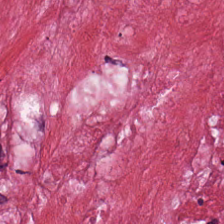Hematoxylin and eosin — Finding → tumor-associated stroma.
